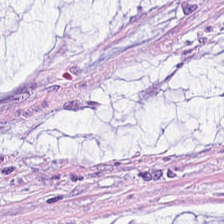Tissue type = mucus.
